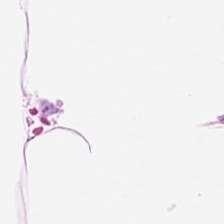Stain: hematoxylin-and-eosin stained section.
Tissue type: adipose.
